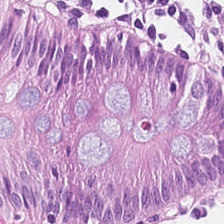0.5 microns per pixel · brightfield · hematoxylin and eosin.
Showing benign colonic mucosa.
